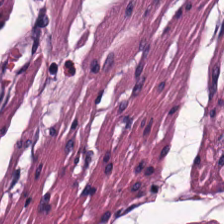H&E-stained tissue section.
Predominant tissue — smooth-muscle tissue.
